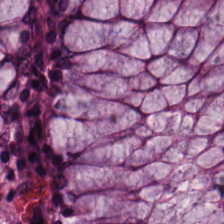H&E-stained tissue section — Tissue — normal colonic mucosa.
